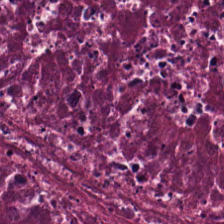Hematoxylin and eosin — {"tissue_type": "necrotic debris"}
